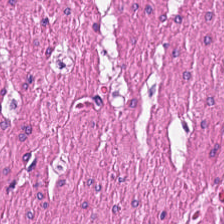H&E — Predominantly smooth-muscle tissue.
